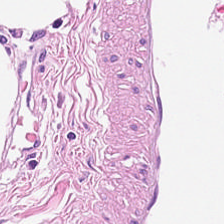Tissue type = fat tissue.
